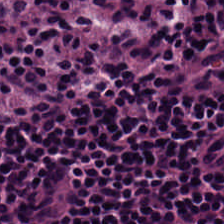Q: What is shown here?
A: It is lymphocytes.
